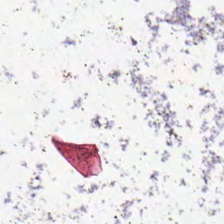Hematoxylin-and-eosin stained section · whole-slide-image patch · 224×224 px tile.
Impression → empty background.
